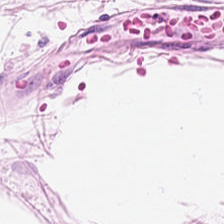H&E patch showing adipocytes.
